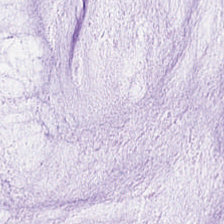Hematoxylin and eosin. Impression — extracellular mucin.
